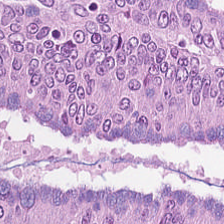Hematoxylin and eosin.
{"tissue_type": "colorectal adenocarcinoma"}
